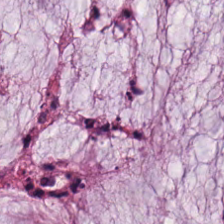Stain: H&E stain.
Acquisition: WSI patch.
Tissue class: mucin.
